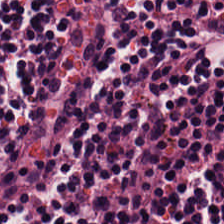WSI patch · hematoxylin-and-eosin stained section — {"tissue_type": "lymphocytes"}
